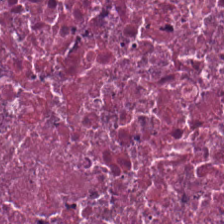0.5 µm per pixel · H&E. Predominant tissue: cellular debris.
